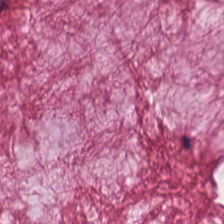Stain: hematoxylin-and-eosin stained section.
Acquisition: brightfield.
Tile size: 224×224 pixel tile.
Predominant tissue: extracellular mucin.
